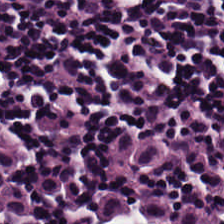H&E stain.
Q: What is shown in this field?
A: Lymphoid infiltrate.
